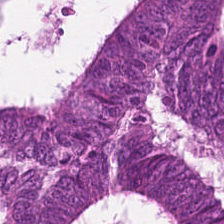H&E-stained tissue section. Histology — adenocarcinoma.
